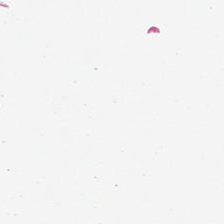Hematoxylin-and-eosin stained section. WSI patch. Classification = empty background.
